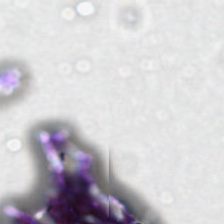Empty field — empty background.
